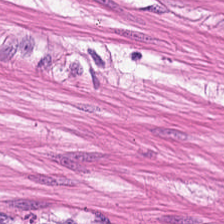H&E. Brightfield.
The predominant tissue is smooth muscle.
